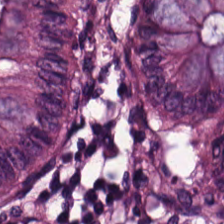FFPE tissue section. Hematoxylin-and-eosin stained section.
This patch shows normal colonic mucosa.
